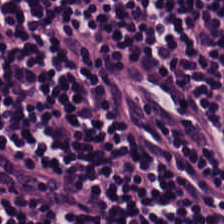H&E.
The predominant tissue is lymphocytes.
